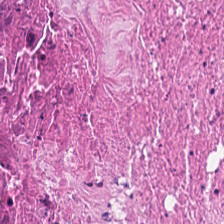Hematoxylin-and-eosin stained section. FFPE. 224×224 px patch — The classification is cellular debris.
